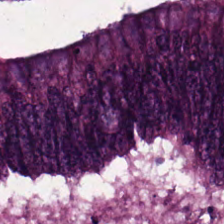Brightfield microscopy. Hematoxylin-and-eosin stained section. FFPE — Tissue — adenocarcinoma.
